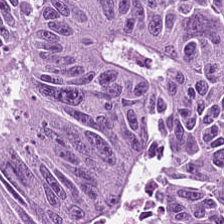H&E; brightfield microscopy. Showing colorectal adenocarcinoma.
